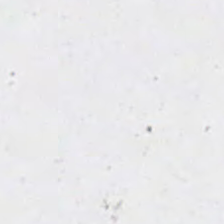FFPE tissue section; hematoxylin and eosin.
Histology → empty background.
